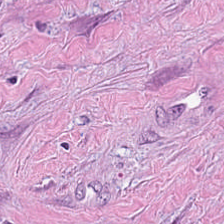H&E-stained tissue section.
This patch shows cancer-associated stroma.
